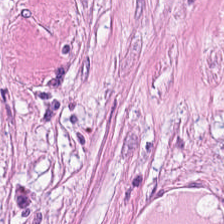H&E. Brightfield — Tissue class: tumor stroma.
